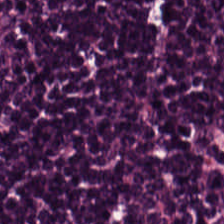Brightfield. H&E stain.
The tissue here is lymphocytes.
